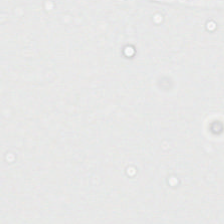Background — no tissue in this field.
